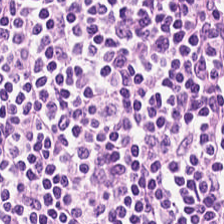Hematoxylin-and-eosin stained section — {"tissue_type": "lymphoid infiltrate"}
